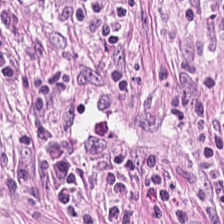Stain: H&E.
Resolution: 0.5 microns per pixel.
Tissue class: desmoplastic stroma.
